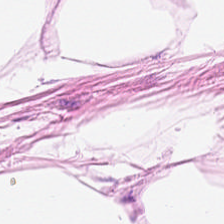Brightfield · hematoxylin and eosin.
This patch shows adipocytes.
